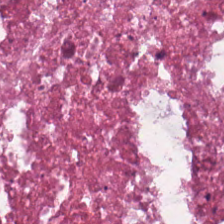Hematoxylin-and-eosin stained section.
Tissue = debris.
